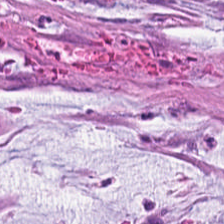H&E-stained tissue section. Tissue type = mucus.
